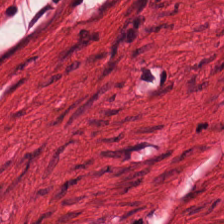H&E. 0.5 µm per pixel — Tissue type — smooth muscle.
